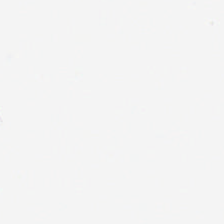H&E-stained tissue section — Finding — background.
